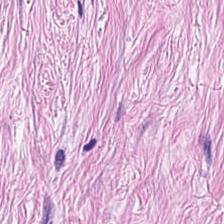The predominant tissue is cancer-associated stroma.
